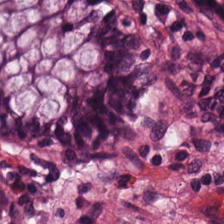Tissue type = normal colonic mucosa.
